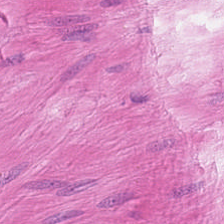Whole-slide-image patch; H&E stain.
Smooth muscle.
